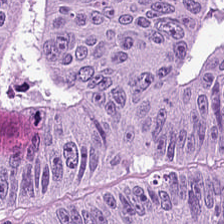Stain: hematoxylin and eosin.
Tile size: 224×224 pixel tile.
Tissue type: adenocarcinoma.
